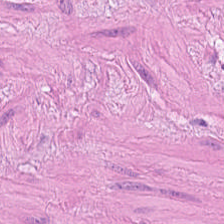H&E stain — Q: What tissue type is shown here?
A: This is smooth-muscle tissue.
